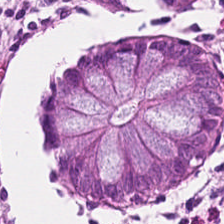0.5 microns per pixel. Brightfield. Hematoxylin-and-eosin stained section. Q: Identify the tissue.
A: Normal colonic mucosa.
